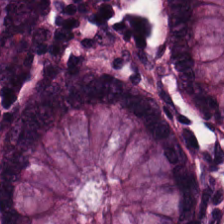0.5 microns per pixel; hematoxylin-and-eosin stained section; 224×224 pixel tile.
Finding — non-neoplastic colon mucosa.
